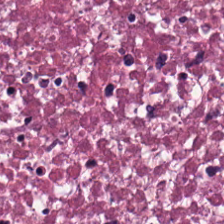Brightfield · 0.5 microns per pixel · H&E-stained tissue section. The predominant tissue is necrotic debris.
